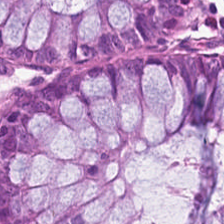Hematoxylin-and-eosin stained section. Histology → benign colonic mucosa.
